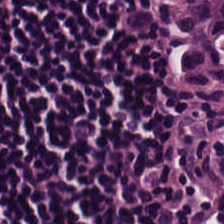Stain: H&E stain.
Predominant tissue: lymphoid infiltrate.
